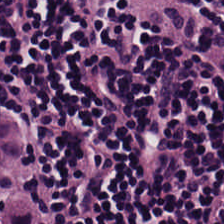Lymphocytic infiltrate.
